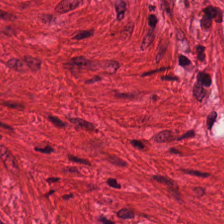H&E.
Predominantly smooth-muscle tissue.
